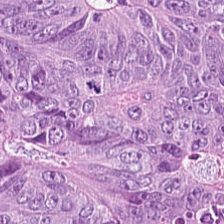H&E. Q: Identify the tissue.
A: The field shows tumor epithelium.
